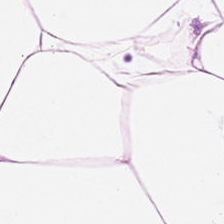Tissue type — adipose tissue.
